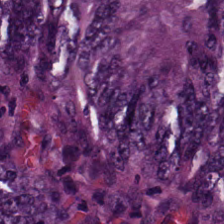Stain: H&E.
Tissue class: adenocarcinoma.
